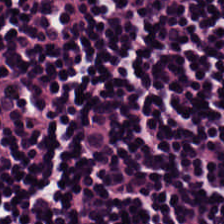20× equivalent magnification; brightfield; H&E-stained tissue section — Predominantly lymphocytic infiltrate.
